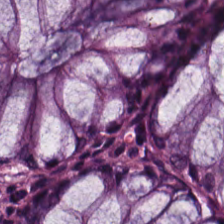The tissue class is benign colonic mucosa.
